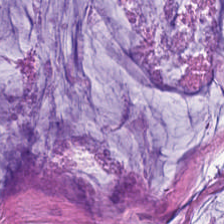Brightfield; H&E-stained tissue section — Impression → extracellular mucin.
